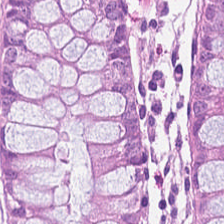Tissue type — non-neoplastic colon mucosa.
